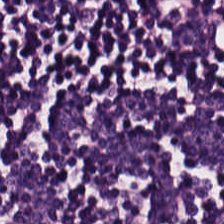H&E-stained tissue section — Tissue type — lymphoid infiltrate.
